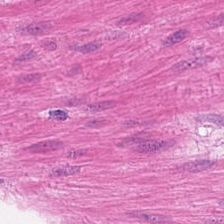H&E · WSI patch. This field is smooth-muscle tissue.
